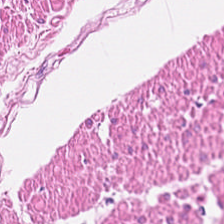H&E-stained tissue section — The classification is smooth-muscle tissue.
